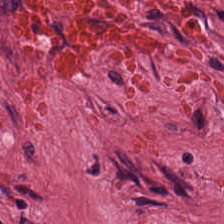H&E-stained tissue section.
The predominant tissue is desmoplastic stroma.
